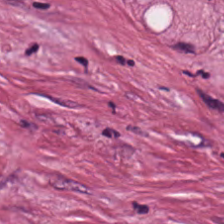H&E-stained tissue section. {"tissue_type": "tumor-associated stroma"}
